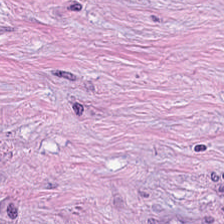Hematoxylin and eosin; 224×224 px patch; brightfield microscopy. Classification = tumor-associated stroma.
